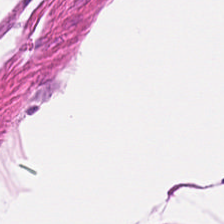Tissue class = smooth muscle.
